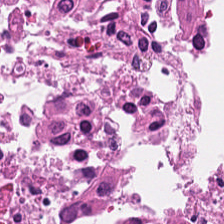224×224 px tile. 0.5 µm/px. H&E stain — This patch shows debris.
